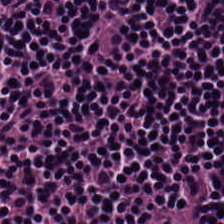Q: What tissue type is shown here?
A: The field shows lymphocyte aggregate.
